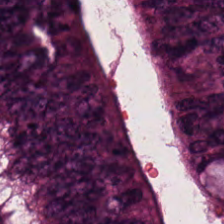H&E. FFPE tissue section. Whole-slide-image patch.
{"tissue_type": "adenocarcinoma"}
